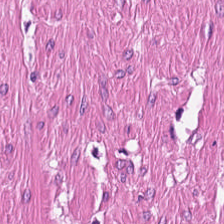H&E stain.
The tissue here is muscularis.
